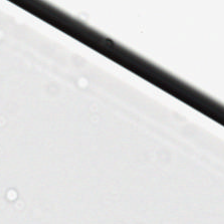H&E stain — Q: What does this patch show?
A: This is no tissue.
